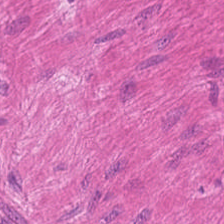The predominant tissue is smooth muscle.
